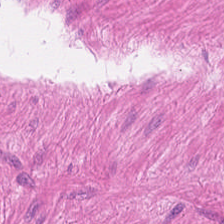H&E. Brightfield — Tissue type: smooth muscle.
